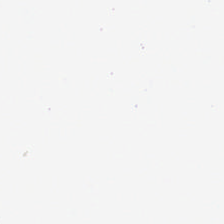Stain: hematoxylin-and-eosin stained section.
Resolution: 0.5 µm per pixel.
Classification: no tissue.
